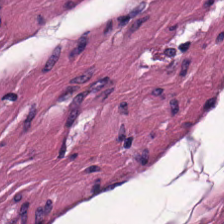H&E — The tissue here is muscularis.
